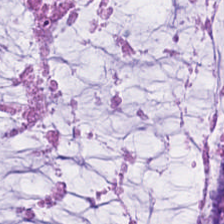Hematoxylin-and-eosin stained section — Tissue = extracellular mucin.
